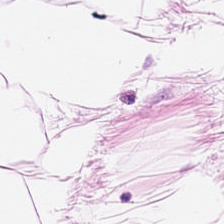Brightfield microscopy · 224×224 px tile · H&E — {"tissue_type": "adipocytes"}
